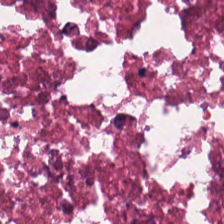Brightfield; H&E stain — Finding — debris.
